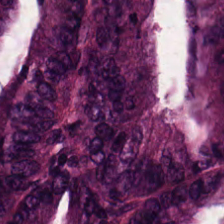H&E-stained tissue section — The predominant tissue is adenocarcinoma.
